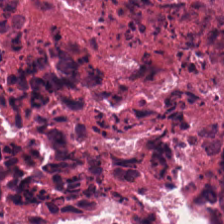Stain: H&E stain.
Tissue type: debris.
